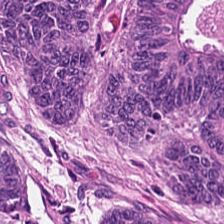Q: What tissue is shown?
A: Colorectal adenocarcinoma epithelium.
